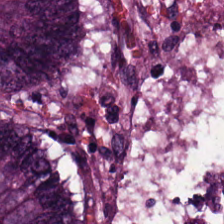20× equivalent magnification · hematoxylin and eosin · FFPE.
Q: Identify the tissue.
A: This is adenocarcinoma.
